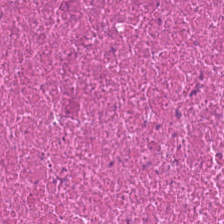224×224 pixel tile · hematoxylin-and-eosin stained section.
This field is debris.
